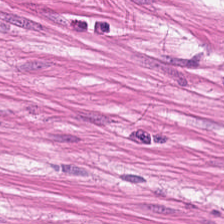224×224 pixel tile. H&E stain. 0.5 microns per pixel. Histology — smooth muscle.
